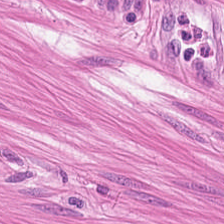Predominantly smooth-muscle tissue.
